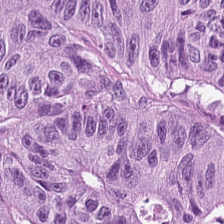Showing colorectal adenocarcinoma epithelium.
